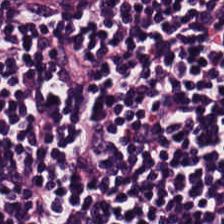H&E; 20× equivalent magnification.
The predominant tissue is lymphocytes.
